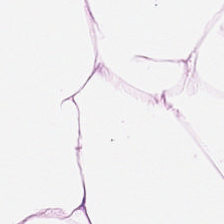Predominant tissue = fat tissue.
